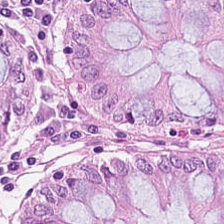H&E-stained tissue section — Q: What tissue is shown?
A: This is non-neoplastic colon mucosa.
